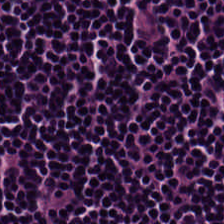H&E · 0.5 microns per pixel.
This patch shows lymphocytic infiltrate.
